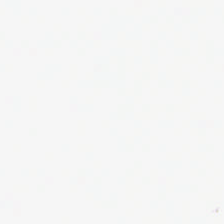Q: What is shown here?
A: The field shows background.
